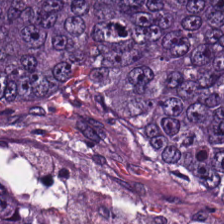H&E.
This patch shows malignant epithelium.
